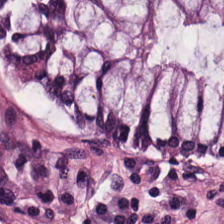H&E. Predominantly normal colon mucosa.
